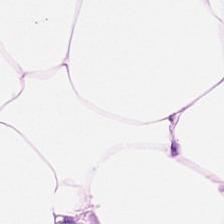0.5 microns per pixel; WSI patch; H&E stain. Classification — fat tissue.
